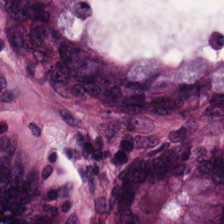Histology → normal colon mucosa.
